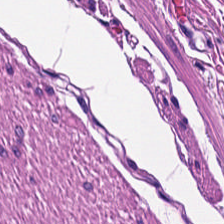This field is smooth muscle.
